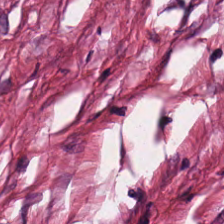H&E stain. Predominantly tumor-associated stroma.
